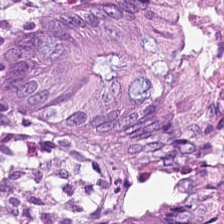0.5 µm/px; H&E.
Showing normal colonic mucosa.
